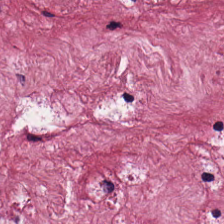This field is cancer-associated stroma.
